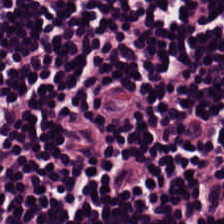Hematoxylin-and-eosin stained section — {"tissue_type": "lymphoid infiltrate"}
